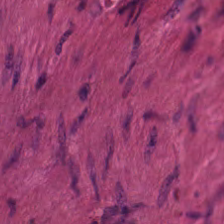Formalin-fixed paraffin-embedded section · hematoxylin and eosin · 224×224 px patch. {"tissue_type": "smooth-muscle tissue"}
